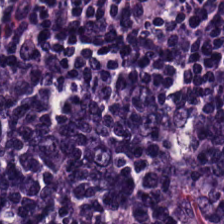224×224 px tile. 0.5 µm/px. Hematoxylin-and-eosin stained section — Tissue type — lymphocyte aggregate.
